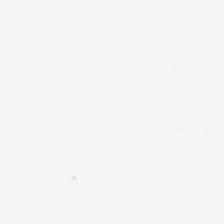H&E.
Empty background.
